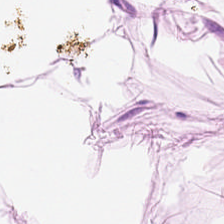Hematoxylin-and-eosin stained section.
Classification: fat tissue.
